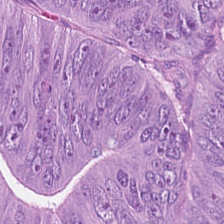H&E stain — Q: What does this patch show?
A: This is colorectal adenocarcinoma.
